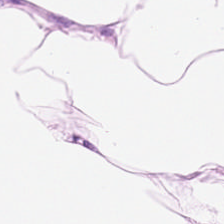H&E stain — The tissue class is adipose tissue.
